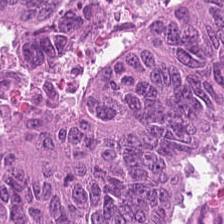Stain: hematoxylin-and-eosin stained section.
Classification: malignant epithelium.
